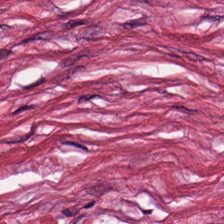Hematoxylin-and-eosin stained section; WSI patch. Q: What is shown in this field?
A: The field shows cancer-associated stroma.
